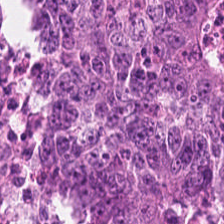{"tissue_type": "colorectal adenocarcinoma"}
